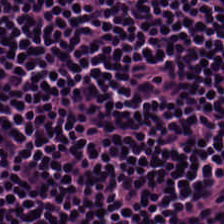H&E · 224×224 px tile — Finding → lymphocytic infiltrate.
